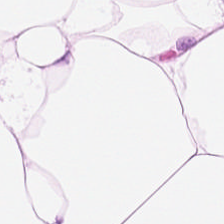Stain: hematoxylin and eosin.
Tile size: 224×224 px patch.
Acquisition: brightfield microscopy.
Predominant tissue: adipocytes.
